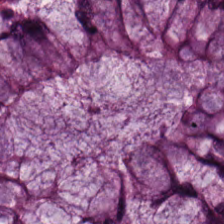{"tissue_type": "normal colonic mucosa"}
